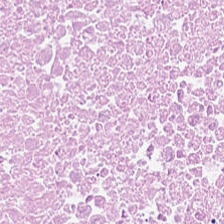H&E-stained tissue section · 224×224 px tile — {"tissue_type": "debris"}
